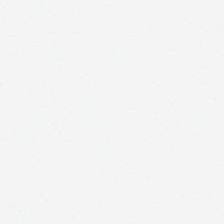H&E stain. Classification — background (no tissue).
